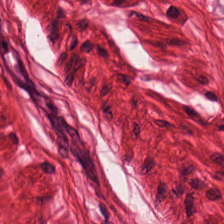Hematoxylin and eosin.
The tissue here is smooth muscle.
